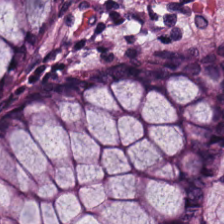H&E stain.
Tissue — non-neoplastic colon mucosa.
